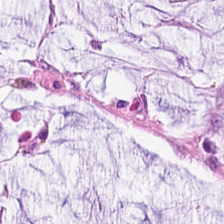Hematoxylin-and-eosin stained section.
Finding → extracellular mucin.
